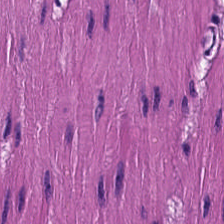H&E-stained tissue section · 20× equivalent magnification · brightfield microscopy. This patch shows smooth muscle.
